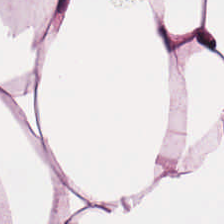Classification — adipose tissue.
